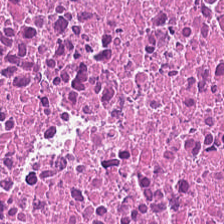H&E-stained tissue section.
Tissue type = cellular debris.
